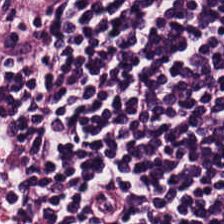H&E — Histology — lymphocyte aggregate.
